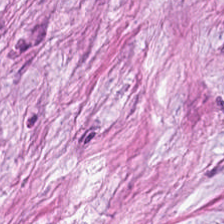Hematoxylin and eosin · 0.5 µm/px · brightfield.
Classification = tumor-associated stroma.
